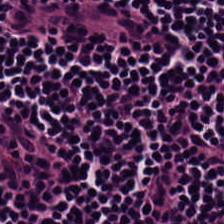0.5 µm/px; H&E stain; FFPE tissue section. The tissue is lymphocyte aggregate.
